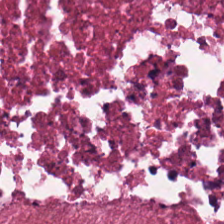Hematoxylin-and-eosin stained section — The predominant tissue is cellular debris.
